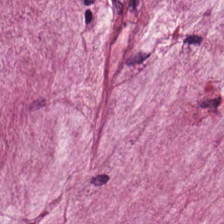H&E stain — Impression — extracellular mucin.
